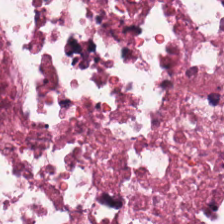FFPE. H&E. 224×224 px tile. Showing debris.
